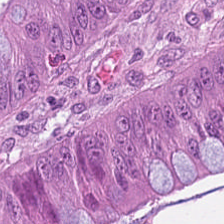Hematoxylin and eosin. Adenocarcinoma.
